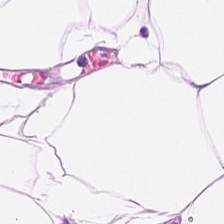H&E stain — Predominant tissue: fat tissue.
